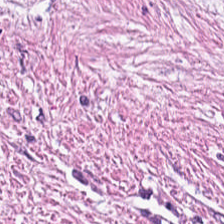H&E. 224×224 px patch — This patch shows tumor-associated stroma.
